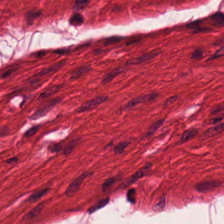Hematoxylin and eosin — Predominantly muscularis.
